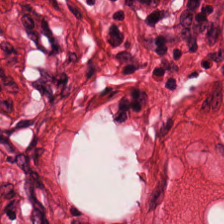H&E stain. 224×224 pixel tile. Formalin-fixed paraffin-embedded section — This field is smooth muscle.
